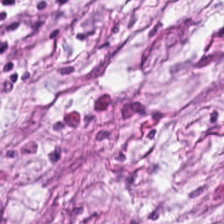Stain: hematoxylin-and-eosin stained section.
Predominant tissue: tumor-associated stroma.
